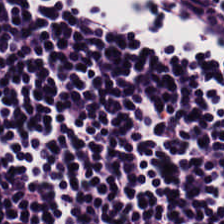H&E stain. Brightfield — Q: What is the predominant tissue type?
A: It is lymphocyte aggregate.
